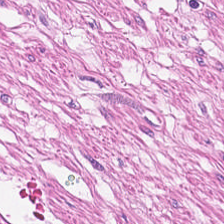Tissue class = muscularis.
